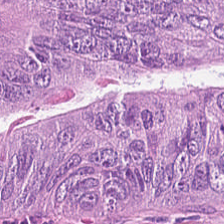H&E.
Predominant tissue — colorectal adenocarcinoma epithelium.
